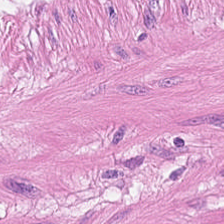Stain: hematoxylin-and-eosin stained section.
Resolution: 0.5 µm per pixel.
Tissue: smooth-muscle tissue.
